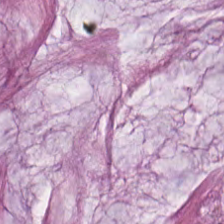H&E-stained tissue section.
Mucus.
